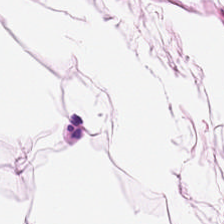Q: What is shown in this field?
A: Fat tissue.
